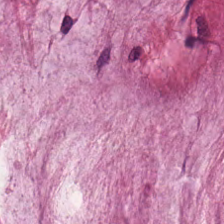Showing mucin.
